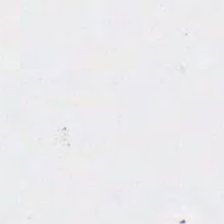Q: What does this patch show?
A: This is no tissue.
